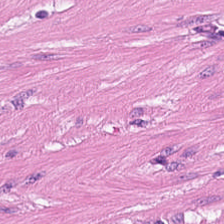Stain: hematoxylin and eosin.
Acquisition: brightfield microscopy.
Classification: smooth-muscle tissue.
